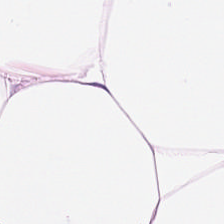Q: What type of tissue is this?
A: It is fat tissue.
